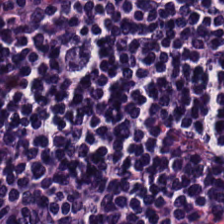224×224 px tile. 0.5 µm/px. H&E stain. Tissue type = lymphocyte aggregate.
